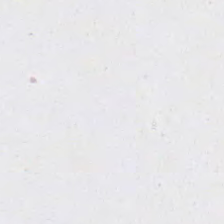This patch shows background.
